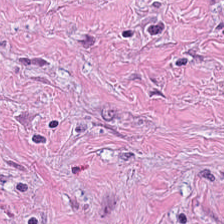Hematoxylin and eosin; 224×224 px tile. Tissue = cancer-associated stroma.
